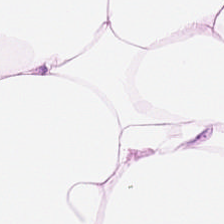{"tissue_type": "fat tissue"}
